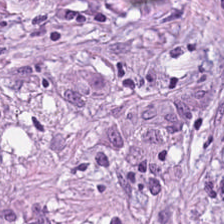H&E.
Impression — tumor stroma.
